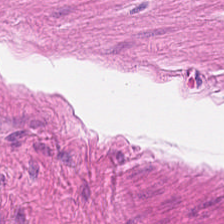0.5 microns per pixel; H&E stain.
Q: What tissue type is shown here?
A: This is smooth muscle.
